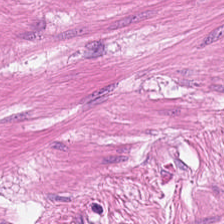H&E · 224×224 px tile.
The predominant tissue is smooth muscle.
